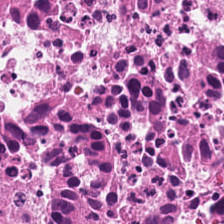H&E-stained tissue section.
Tissue type: debris.
